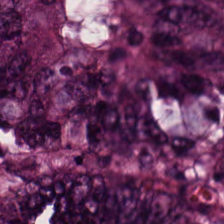224×224 px patch; H&E.
The tissue class is tumor epithelium.
